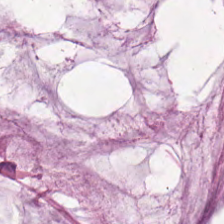Stain: H&E.
Classification: mucus.
